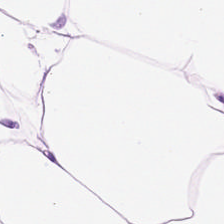Tissue — adipose.
